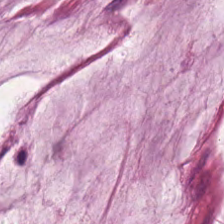0.5 µm/px · H&E-stained tissue section.
Classification = extracellular mucin.
